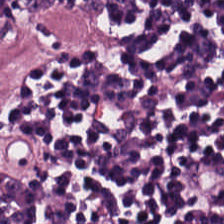Formalin-fixed paraffin-embedded section. Brightfield microscopy. H&E stain. Q: What is the predominant tissue type?
A: It is lymphocytic infiltrate.
